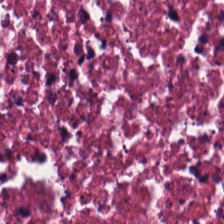H&E stain — Necrotic debris.
